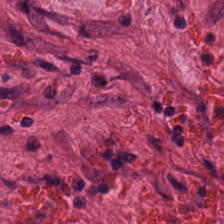Hematoxylin-and-eosin stained section. Q: Classify this patch.
A: This is cancer-associated stroma.
